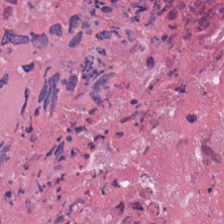H&E stain; 0.5 microns per pixel — Q: Identify the tissue.
A: It is debris.
